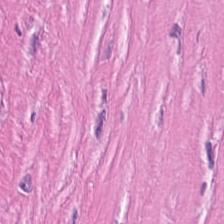H&E stain — Tissue — tumor-associated stroma.
